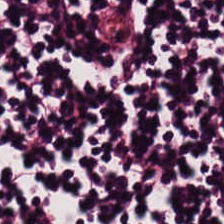Hematoxylin-and-eosin stained section. 224×224 pixel tile.
Classification — lymphoid infiltrate.
